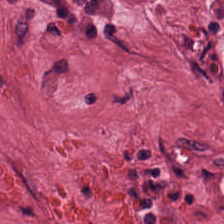0.5 µm per pixel; hematoxylin-and-eosin stained section. Desmoplastic stroma.
